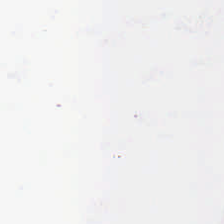H&E — This patch shows empty background.
